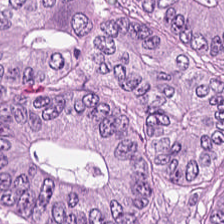Hematoxylin and eosin. 224×224 px tile — This patch shows tumor epithelium.
